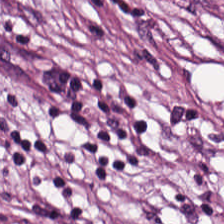Histology — cancer-associated stroma.
